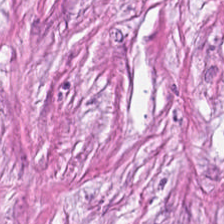H&E.
{"tissue_type": "desmoplastic stroma"}
